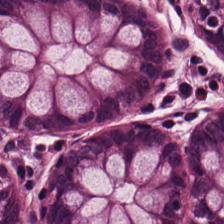H&E · brightfield · formalin-fixed paraffin-embedded section.
Showing normal colonic mucosa.
